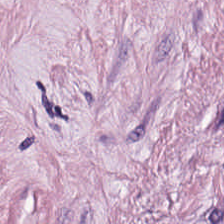0.5 microns per pixel · H&E stain.
This field is tumor stroma.
